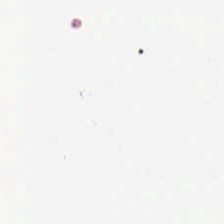H&E-stained tissue section.
Background.
